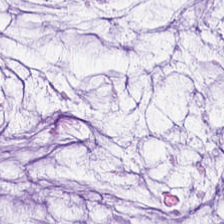Hematoxylin-and-eosin stained section. Q: What tissue is shown?
A: Mucus.
